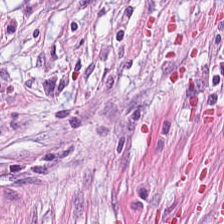Hematoxylin-and-eosin stained section. 224×224 px patch. Brightfield microscopy. Q: What tissue is shown?
A: This is desmoplastic stroma.
